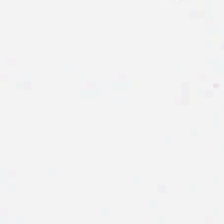Q: What is shown in this field?
A: This is empty background.
